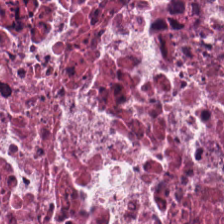H&E-stained tissue section. Formalin-fixed paraffin-embedded section. 224×224 pixel tile — Classification = cellular debris.
